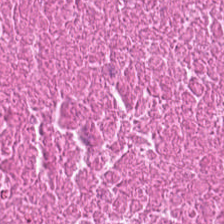Hematoxylin-and-eosin stained section.
The predominant tissue is necrotic debris.
